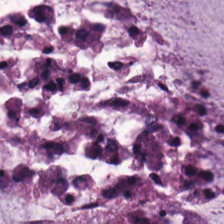Stain: hematoxylin-and-eosin stained section.
Tile size: 224×224 px patch.
Tissue: mucin.
